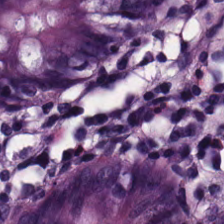224×224 px tile. FFPE tissue section. H&E-stained tissue section.
The predominant tissue is benign colonic mucosa.
